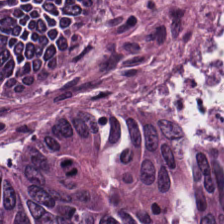20× equivalent magnification. H&E stain. Whole-slide-image patch.
Showing malignant epithelium.
